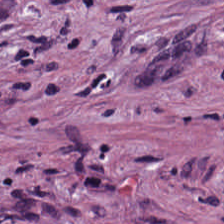0.5 µm/px. H&E. Q: Identify the tissue.
A: This is tumor stroma.
